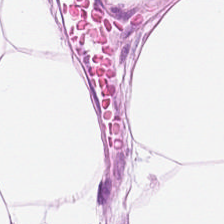H&E stain. Showing adipose.
